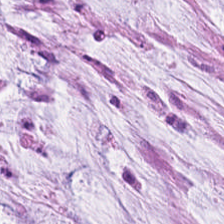H&E-stained tissue section. 224×224 pixel tile.
Classification — mucin.
